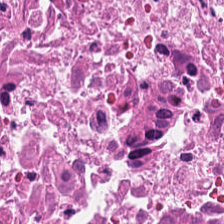Finding — debris.
